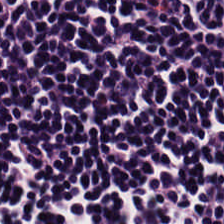H&E stain.
Lymphoid infiltrate.
